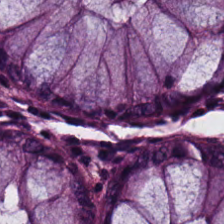Hematoxylin and eosin — Histology → normal colon mucosa.
